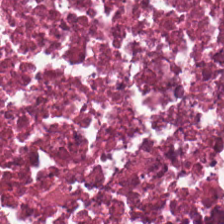Hematoxylin-and-eosin stained section; 224×224 pixel tile.
This patch shows debris.
